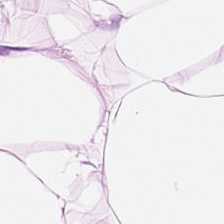Hematoxylin-and-eosin section: fat tissue.
